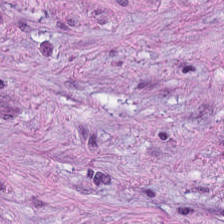Brightfield microscopy. Hematoxylin and eosin.
Desmoplastic stroma.
